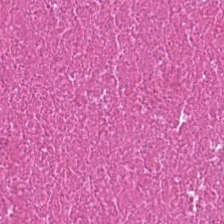H&E stain · 0.5 µm/px. Classification: cellular debris.
